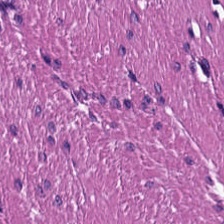Stain: hematoxylin and eosin.
Preparation: formalin-fixed paraffin-embedded section.
Resolution: 20× equivalent magnification.
Tissue type: smooth muscle.
